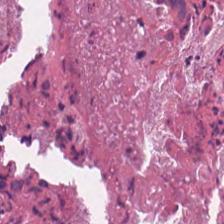Stain: H&E-stained tissue section.
Preparation: formalin-fixed paraffin-embedded section.
Tile size: 224×224 px patch.
Classification: necrotic debris.
